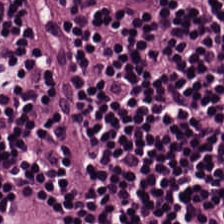Q: Identify the tissue.
A: It is lymphocytic infiltrate.
